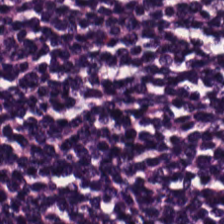20× equivalent magnification · H&E stain — Lymphocytes.
